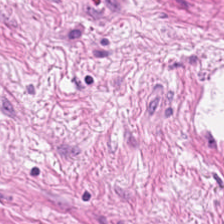{"tissue_type": "smooth muscle"}
